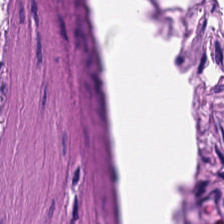H&E stain · 0.5 µm/px.
{"tissue_type": "smooth muscle"}
